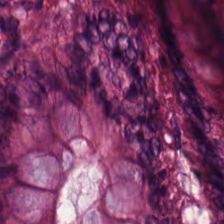Brightfield microscopy · H&E-stained tissue section. Predominantly normal colon mucosa.
